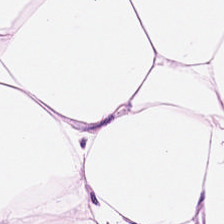H&E-stained tissue section; WSI patch; FFPE tissue section.
Fat tissue.
